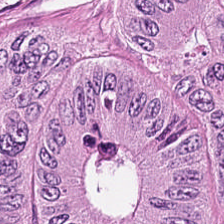Hematoxylin-and-eosin stained section. 224×224 px patch — Tissue — colorectal adenocarcinoma.
